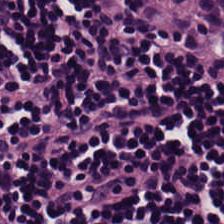Stain: H&E.
Resolution: 20× equivalent magnification.
Preparation: formalin-fixed paraffin-embedded section.
Tissue: lymphocyte aggregate.
